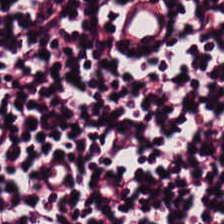Hematoxylin-and-eosin stained section — Tissue: lymphocytes.
